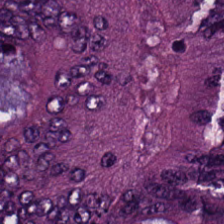Tissue class = tumor epithelium.
